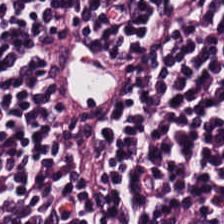H&E — This patch shows lymphoid infiltrate.
